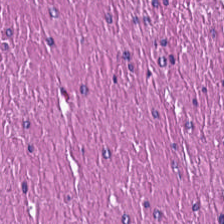H&E — Classification = muscularis.
